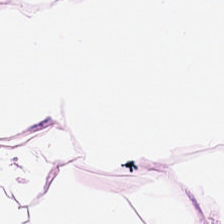Tissue class: adipose.
